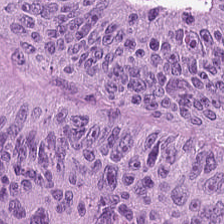Stain: H&E.
Tissue type: malignant epithelium.
